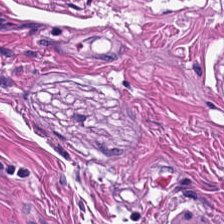0.5 microns per pixel · formalin-fixed paraffin-embedded section · H&E.
Q: Identify the tissue.
A: This is muscularis.
